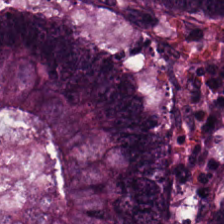0.5 µm/px. Hematoxylin-and-eosin stained section — {"tissue_type": "tumor epithelium"}
